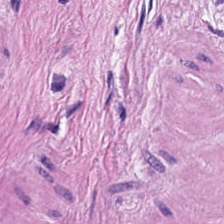Stain: H&E stain.
Tissue class: smooth muscle.
